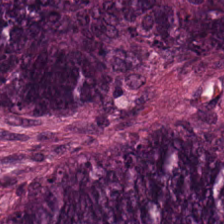H&E stain. Impression → tumor epithelium.
